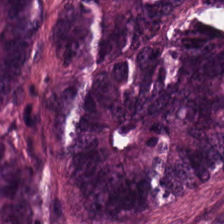Hematoxylin and eosin; WSI patch — Colorectal adenocarcinoma.
